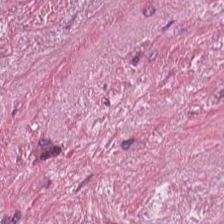Hematoxylin and eosin; 0.5 µm/px. This patch shows tumor-associated stroma.
